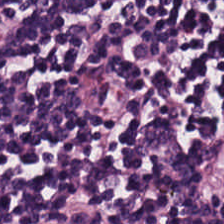Stain: H&E stain.
Tissue: lymphocyte aggregate.
